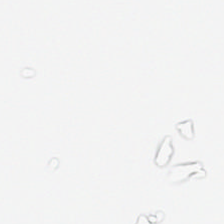H&E.
Classification: background.
